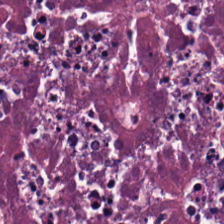FFPE. H&E stain — Tissue type — cellular debris.
